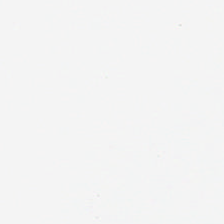Hematoxylin-and-eosin stained section. Background — no tissue in this field.
